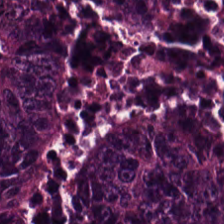Hematoxylin-and-eosin stained section · 224×224 px tile — Showing colorectal adenocarcinoma epithelium.
